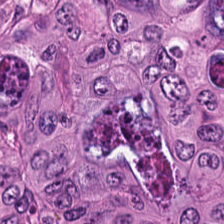H&E stain.
The tissue here is adenocarcinoma.
